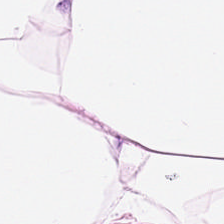FFPE tissue section. WSI patch. Hematoxylin and eosin. The tissue here is adipocytes.
